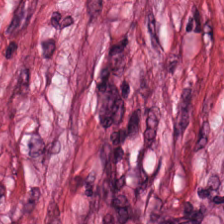H&E stain.
This patch shows desmoplastic stroma.
